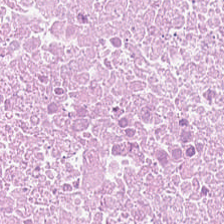H&E stain — Tissue class — cellular debris.
